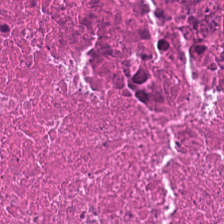Formalin-fixed paraffin-embedded section. H&E stain. Brightfield. The predominant tissue is cellular debris.
